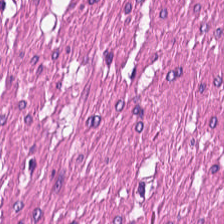224×224 px patch; H&E-stained tissue section. Smooth-muscle tissue.
